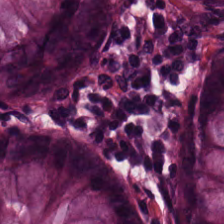Stain: H&E stain.
Tile size: 224×224 pixel tile.
Preparation: formalin-fixed paraffin-embedded section.
Classification: benign colonic mucosa.
